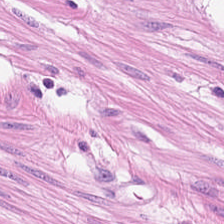H&E-stained tissue section. This patch shows smooth-muscle tissue.
